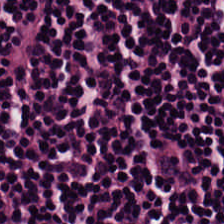Stain: H&E-stained tissue section.
Tile size: 224×224 pixel tile.
Predominant tissue: lymphoid infiltrate.
